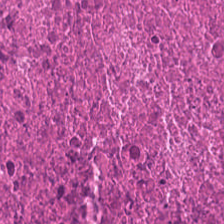Predominant tissue — necrotic debris.
